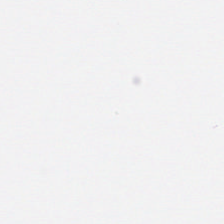Impression — background (no tissue).
